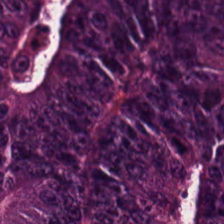H&E-stained tissue section — {"tissue_type": "tumor epithelium"}
